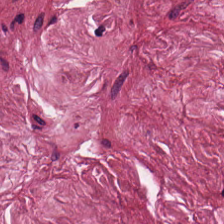224×224 px patch; hematoxylin and eosin; FFPE tissue section. Q: What tissue type is shown here?
A: Tumor stroma.
